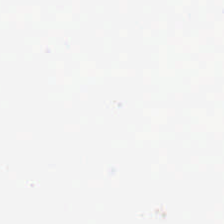Stain: H&E stain.
Content: no tissue.
